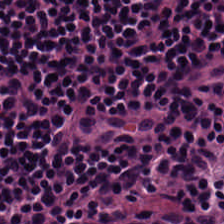This field is lymphocytic infiltrate.
